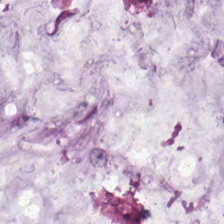H&E stain; brightfield; FFPE. {"tissue_type": "extracellular mucin"}
